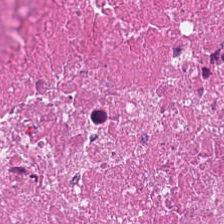H&E stain — Predominantly necrotic debris.
